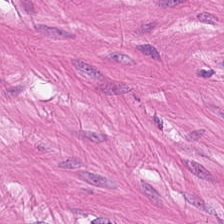H&E stain. Formalin-fixed paraffin-embedded section. 0.5 µm/px. Smooth muscle.
